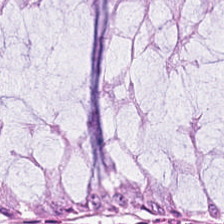Stain: H&E stain.
Tissue: normal colonic mucosa.
